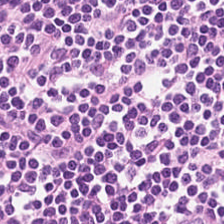H&E-stained tissue section. Predominant tissue — lymphocytic infiltrate.
